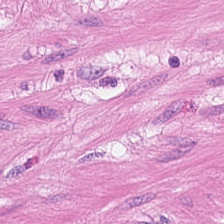H&E-stained tissue section — This patch shows smooth muscle.
